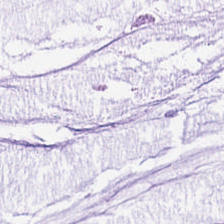Tissue class: extracellular mucin.
